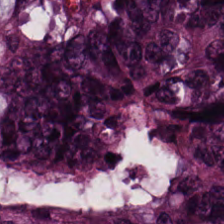H&E-stained section; the field shows colorectal adenocarcinoma.
